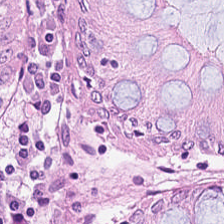Hematoxylin and eosin.
Classification — non-neoplastic colon mucosa.
